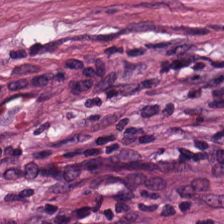Stain: H&E stain.
Tile size: 224×224 px tile.
Tissue class: desmoplastic stroma.
